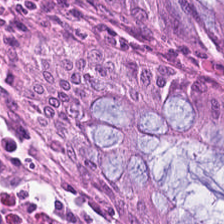Stain: H&E stain.
Classification: normal colonic mucosa.
